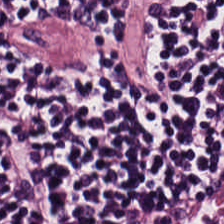H&E-stained tissue section · 224×224 px patch — This patch shows lymphocytic infiltrate.
